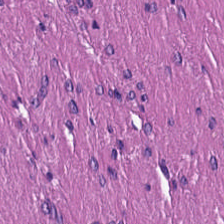H&E; WSI patch.
Classification: muscularis.
